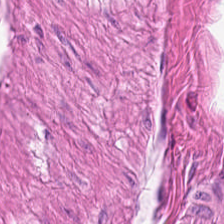Stain: H&E stain.
Tissue: smooth-muscle tissue.
